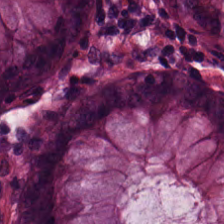Q: What is shown in this field?
A: This is normal colon mucosa.
